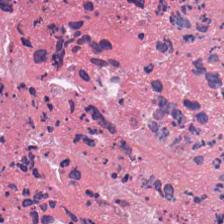Q: What tissue is shown?
A: This is debris.
